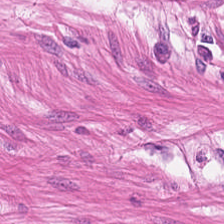Hematoxylin and eosin. {"tissue_type": "smooth muscle"}
